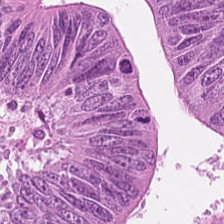H&E; 224×224 pixel tile.
Q: What tissue type is shown here?
A: The field shows adenocarcinoma.
